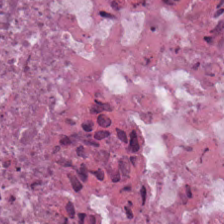H&E — cellular debris.
